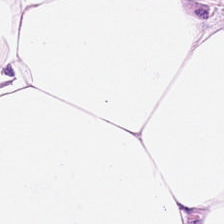Q: What tissue type is shown here?
A: It is adipose.
